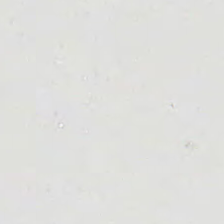Hematoxylin and eosin.
No tissue present; background only.
